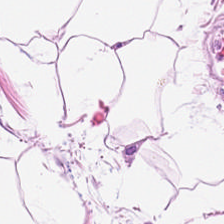Hematoxylin and eosin.
Predominantly adipose tissue.
